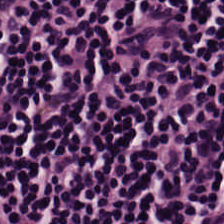H&E-stained tissue section; formalin-fixed paraffin-embedded section.
This patch shows lymphocyte aggregate.
